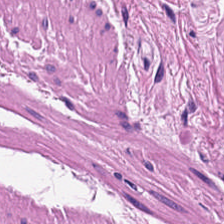Formalin-fixed paraffin-embedded section · H&E. Q: What does this patch show?
A: Muscularis.
